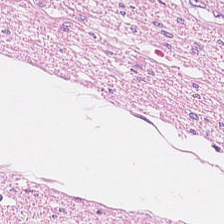WSI patch · hematoxylin-and-eosin stained section — Histology — muscularis.
